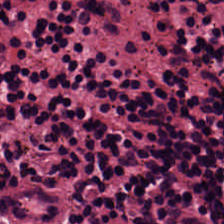FFPE; H&E-stained tissue section; 224×224 pixel tile — The tissue is lymphoid infiltrate.
